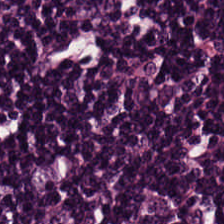Hematoxylin-and-eosin stained section.
Predominant tissue = lymphocytic infiltrate.
